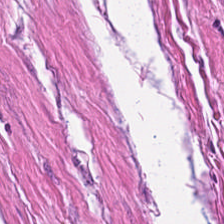Stain: H&E.
Acquisition: brightfield.
Resolution: 0.5 µm/px.
Predominant tissue: muscularis.
